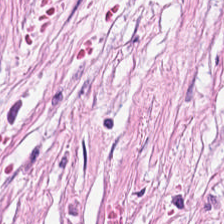224×224 px patch · brightfield microscopy · H&E. Finding — tumor-associated stroma.
